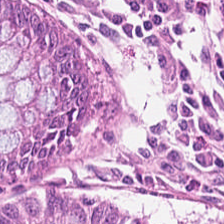224×224 px tile. H&E stain. 0.5 µm per pixel — Q: What is shown in this field?
A: This is normal colon mucosa.
